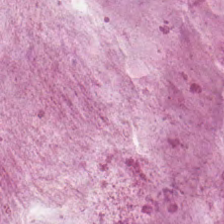H&E-stained tissue section. Predominantly mucin.
